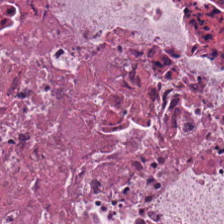Hematoxylin and eosin; 0.5 microns per pixel.
This patch shows cellular debris.
